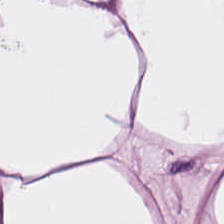H&E — fat tissue.
